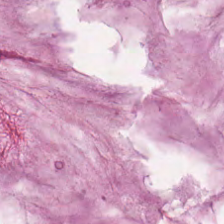{"tissue_type": "extracellular mucin"}
